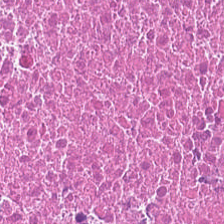Predominantly necrotic debris.
